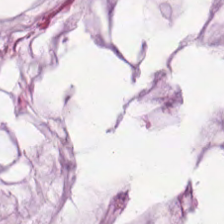WSI patch. 224×224 pixel tile. H&E-stained tissue section.
Predominantly extracellular mucin.
